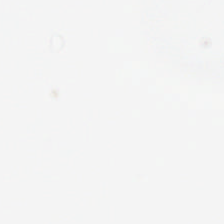Background (no tissue).
